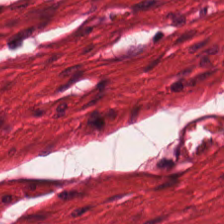Hematoxylin and eosin · 20× equivalent magnification.
Tissue class: smooth-muscle tissue.
